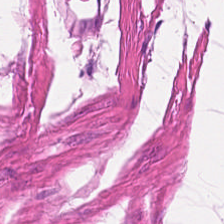Stain: hematoxylin and eosin.
Tissue: smooth-muscle tissue.
